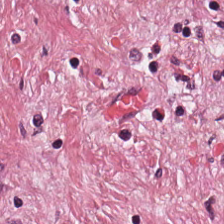H&E stain — Tissue class = desmoplastic stroma.
